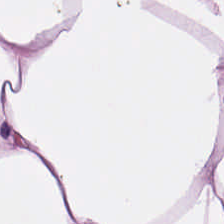H&E-stained tissue section — {"tissue_type": "fat tissue"}
